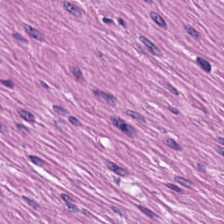Formalin-fixed paraffin-embedded section. H&E-stained tissue section.
The tissue here is muscularis.
